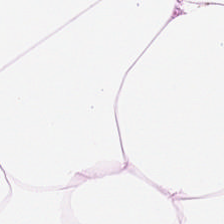Hematoxylin and eosin.
Tissue: adipocytes.
